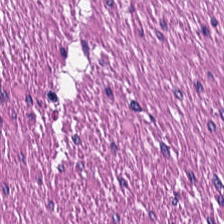H&E; formalin-fixed paraffin-embedded section. This patch shows smooth muscle.
